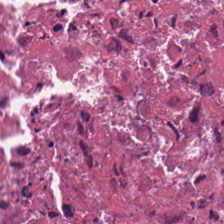H&E. 224×224 pixel tile. Brightfield microscopy — Debris.
